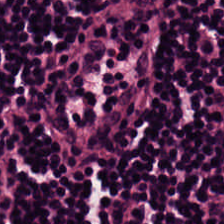Hematoxylin and eosin — Histology → lymphoid infiltrate.
